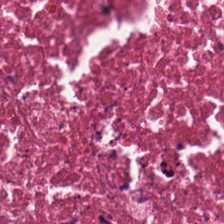H&E-stained tissue section. Tissue: debris.
